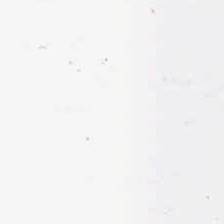Stain: hematoxylin and eosin.
Field content: background (no tissue).
